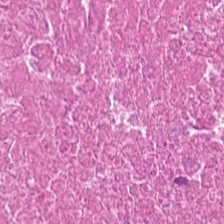H&E stain. Q: Classify this patch.
A: It is necrotic debris.
